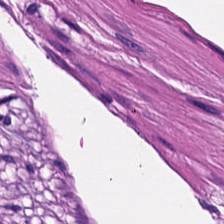Hematoxylin-and-eosin stained section. Tissue: muscularis.
